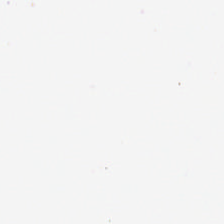This patch shows no tissue.
